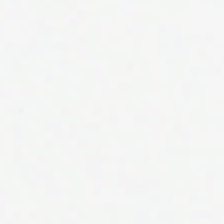Empty field — empty background.
